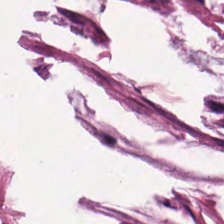H&E. Impression → mucin.
